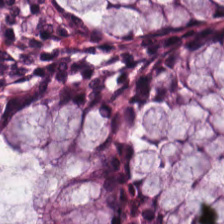Hematoxylin and eosin; 224×224 pixel tile. Showing normal colonic mucosa.
